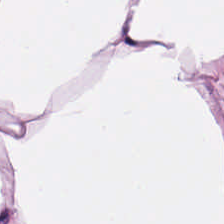Fat tissue.
